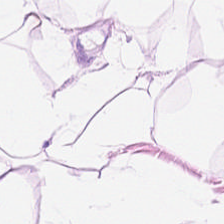Stain: H&E stain.
Preparation: FFPE.
Tissue type: adipose.
